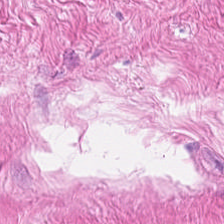FFPE tissue section · hematoxylin-and-eosin stained section.
{"tissue_type": "muscularis"}
